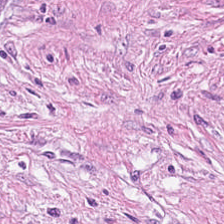H&E-stained tissue section · FFPE tissue section.
The predominant tissue is cancer-associated stroma.
